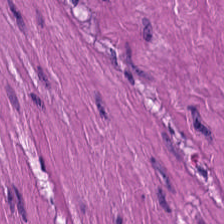H&E stain — Muscularis.
